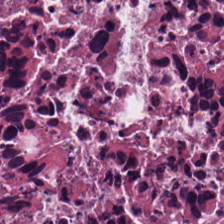Debris.
